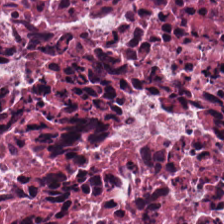The tissue here is debris.
